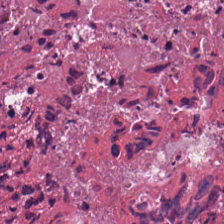Hematoxylin-and-eosin stained section. Tissue — cellular debris.
